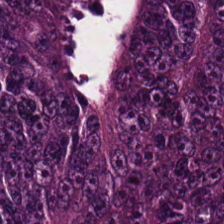Histology — malignant epithelium.
